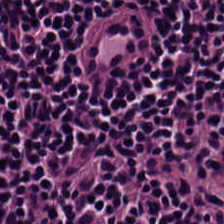H&E stain; 0.5 µm/px; brightfield — The tissue here is lymphocyte aggregate.
